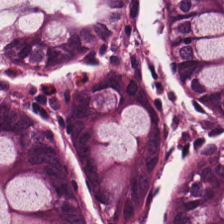Predominantly non-neoplastic colon mucosa.
